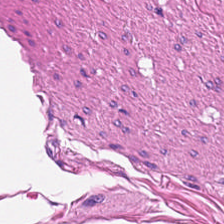Q: Classify this patch.
A: This is smooth-muscle tissue.
